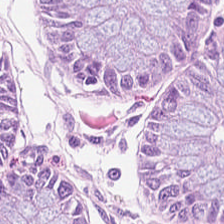Predominant tissue — non-neoplastic colon mucosa.
